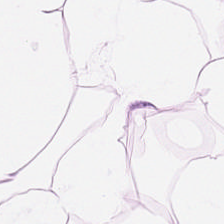H&E stain. This patch shows adipocytes.
